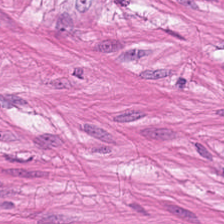Q: What is the predominant tissue type?
A: Muscularis.
